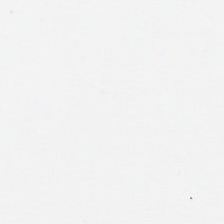Hematoxylin-and-eosin stained section. Whole-slide-image patch. Field content = background.
